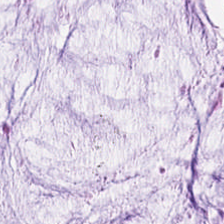H&E stain. Q: What does this patch show?
A: The field shows extracellular mucin.
